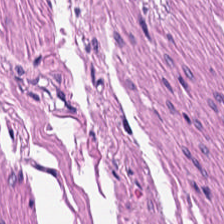Hematoxylin and eosin. Smooth muscle.
